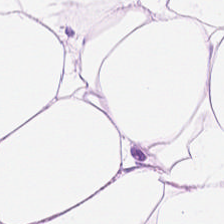Hematoxylin and eosin; FFPE; WSI patch — Tissue class — adipocytes.
